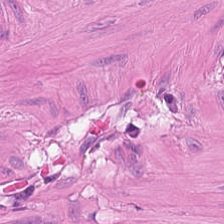Q: Identify the tissue.
A: This is muscularis.
